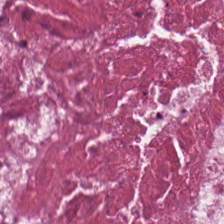Hematoxylin and eosin · 224×224 px patch · WSI patch. The tissue type is necrotic debris.
